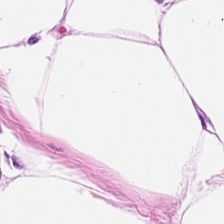WSI patch · 224×224 px tile · H&E stain — Predominantly adipose tissue.
